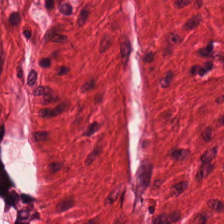H&E — smooth-muscle tissue.
